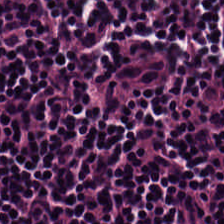Lymphocytes.
